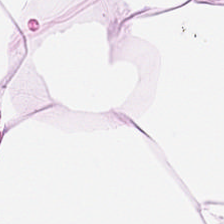Hematoxylin-and-eosin stained section. Showing adipose.
